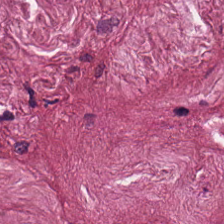H&E stain.
Impression → cancer-associated stroma.
